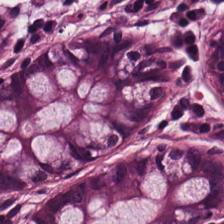Q: What is the predominant tissue type?
A: Normal colonic mucosa.
